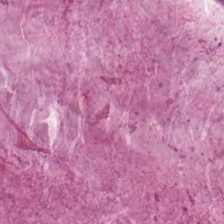Hematoxylin-and-eosin stained section. Classification: mucin.
